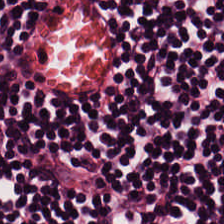FFPE tissue section. Hematoxylin and eosin. Predominantly lymphocytic infiltrate.
